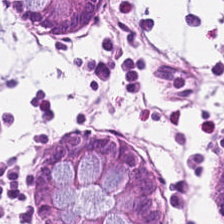Stain: H&E.
Resolution: 0.5 µm per pixel.
Preparation: FFPE.
Classification: non-neoplastic colon mucosa.
